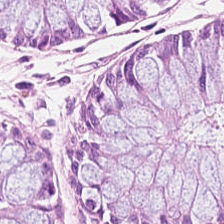H&E-stained tissue section. Histology — normal colon mucosa.
